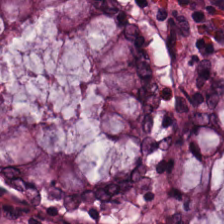{"tissue_type": "normal colon mucosa"}
